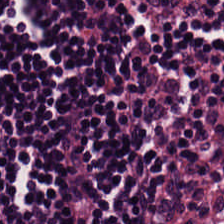Formalin-fixed paraffin-embedded section. H&E. Brightfield microscopy.
This patch shows lymphocyte aggregate.
